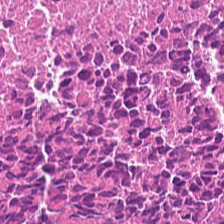H&E stain · FFPE tissue section · 224×224 pixel tile. Showing debris.
